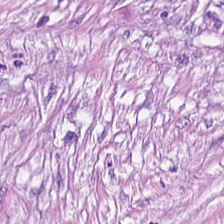20× equivalent magnification. H&E stain.
Histology → tumor-associated stroma.
